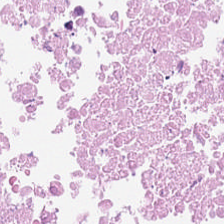H&E stain.
Impression — debris.
